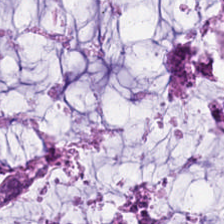H&E · 20× equivalent magnification — Q: What is shown in this field?
A: It is mucus.
